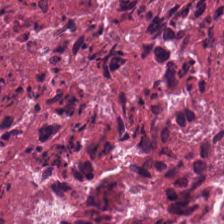Cellular debris.
